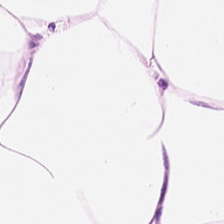Adipose tissue.
